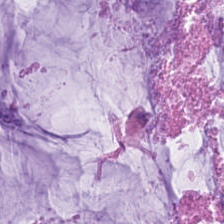Stain: hematoxylin-and-eosin stained section.
Classification: mucin.
